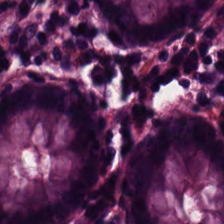H&E-stained tissue section — This field is normal colon mucosa.
